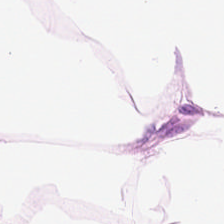H&E stain.
Q: What tissue type is shown here?
A: It is adipose.
